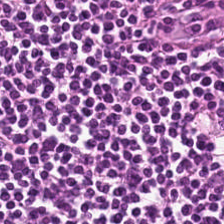Hematoxylin-and-eosin stained section.
This patch shows lymphoid infiltrate.
